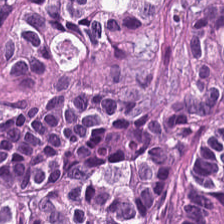Brightfield; 224×224 px patch; H&E stain. This patch shows colorectal adenocarcinoma.
